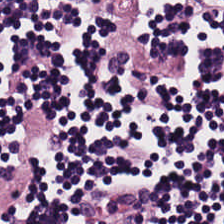Q: What tissue type is shown here?
A: The field shows lymphocyte aggregate.
